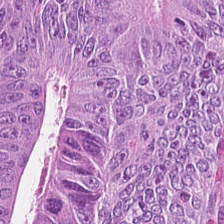Hematoxylin and eosin. Predominant tissue = adenocarcinoma.
